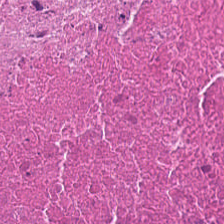H&E stain — Necrotic debris.
